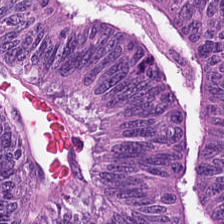H&E; FFPE; 224×224 pixel tile.
The predominant tissue is malignant epithelium.
